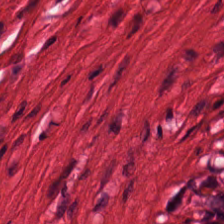Classification: smooth-muscle tissue.
